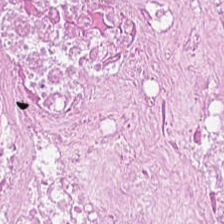Stain: hematoxylin and eosin.
Resolution: 20× equivalent magnification.
Acquisition: WSI patch.
Classification: cellular debris.
